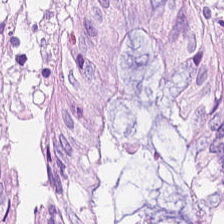Hematoxylin-and-eosin stained section. Showing benign colonic mucosa.
